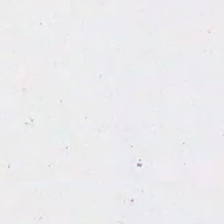Field content — background (no tissue).
